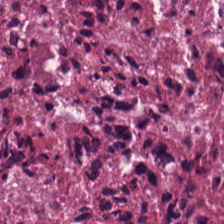The tissue class is debris.
